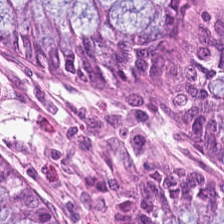H&E-stained section; the field shows normal colonic mucosa.
